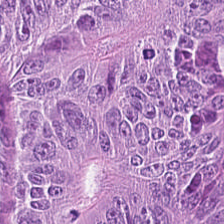H&E; 224×224 px patch. Q: What type of tissue is this?
A: It is tumor epithelium.
